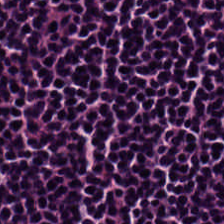Finding → lymphocytic infiltrate.
